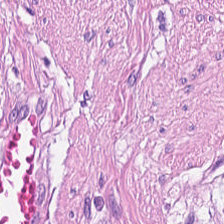224×224 px patch; H&E stain. The predominant tissue is muscularis.
